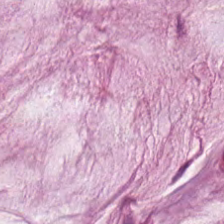H&E stain — Classification — extracellular mucin.
